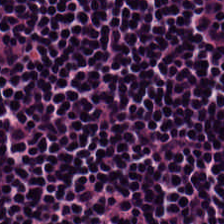Histology — lymphoid infiltrate.
